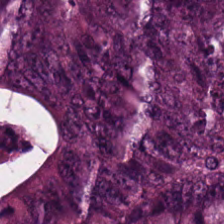Predominant tissue — malignant epithelium.
